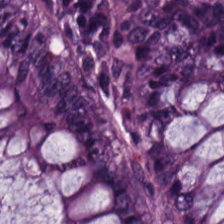Stain: hematoxylin-and-eosin stained section.
Predominant tissue: normal colonic mucosa.
